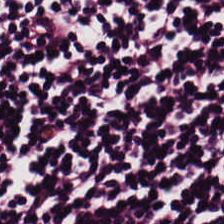Brightfield · 224×224 pixel tile · H&E stain. The classification is lymphocytic infiltrate.
